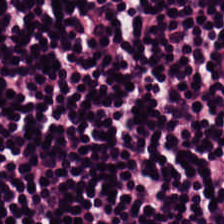H&E stain — Lymphoid infiltrate.
